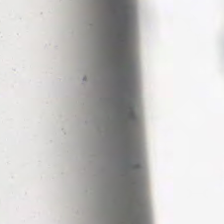H&E — Background (no tissue).
